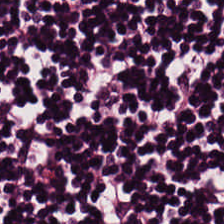WSI patch; H&E-stained tissue section. {"tissue_type": "lymphocytic infiltrate"}
